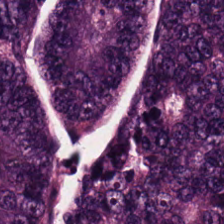Q: Identify the tissue.
A: Colorectal adenocarcinoma.
